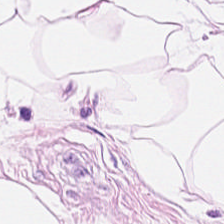Classification — adipose.
